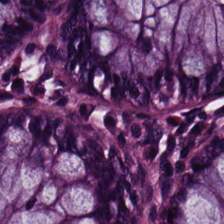224×224 px tile; hematoxylin-and-eosin stained section.
Q: What is the predominant tissue type?
A: This is normal colonic mucosa.
